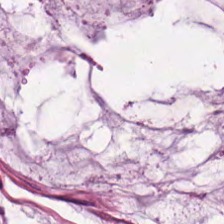Hematoxylin-and-eosin section: mucus.
